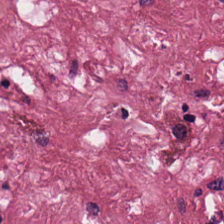Histology — desmoplastic stroma.
